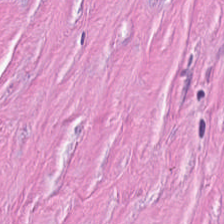H&E stain · 224×224 px tile.
Predominant tissue — cancer-associated stroma.
